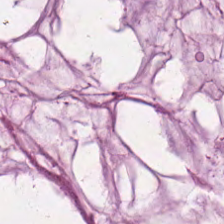FFPE tissue section; H&E — Predominant tissue — mucin.
